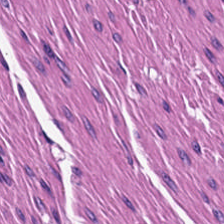Hematoxylin-and-eosin stained section — Muscularis.
